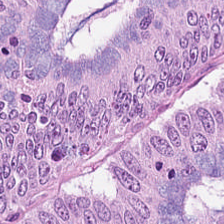Q: What is shown in this field?
A: It is adenocarcinoma.
